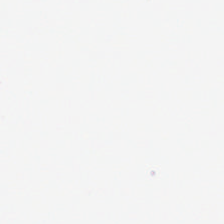H&E stain. Q: What does this patch show?
A: It is empty background.
